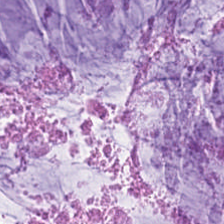Stain: hematoxylin and eosin.
Acquisition: WSI patch.
Classification: extracellular mucin.
